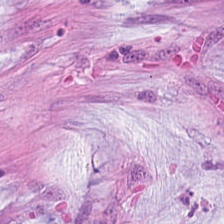Q: Identify the tissue.
A: It is mucin.
